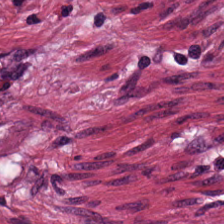Stain: hematoxylin and eosin.
Tissue class: tumor-associated stroma.
